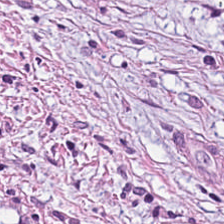H&E-stained tissue section. Brightfield. Tissue type — desmoplastic stroma.
